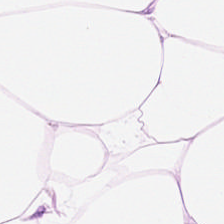H&E — Predominantly adipose.
